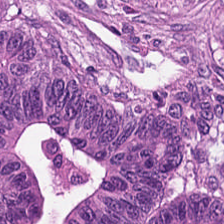The predominant tissue is colorectal adenocarcinoma epithelium.
